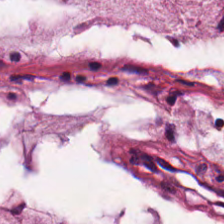Hematoxylin and eosin; whole-slide-image patch; 224×224 px patch — Showing mucin.
